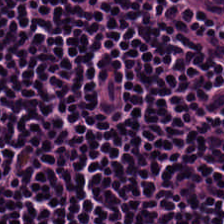H&E-stained tissue section; WSI patch. {"tissue_type": "lymphocyte aggregate"}
